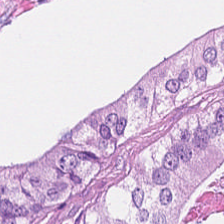This patch shows tumor epithelium.
